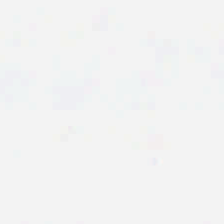Hematoxylin-and-eosin stained section.
Field content: no tissue.
